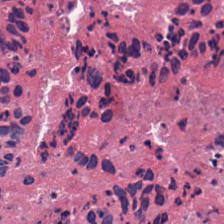Hematoxylin and eosin; 20× equivalent magnification.
{"tissue_type": "debris"}
